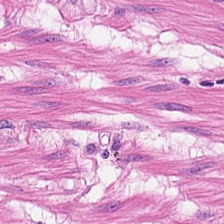Stain: H&E-stained tissue section.
Tissue: muscularis.
